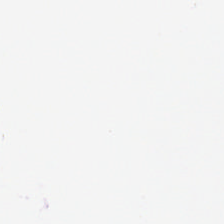H&E-stained tissue section.
This patch shows background (no tissue).
